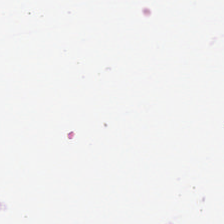H&E. Empty background.
